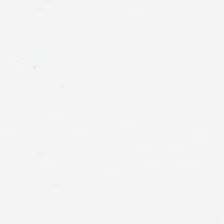Stain: H&E stain.
Acquisition: brightfield microscopy.
Tile size: 224×224 px patch.
Content: background.
